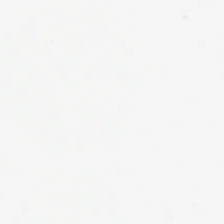H&E-stained tissue section.
The content is no tissue.
